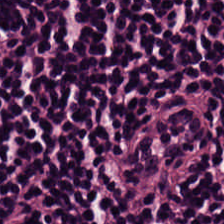Stain: hematoxylin-and-eosin stained section.
Tissue: lymphoid infiltrate.
